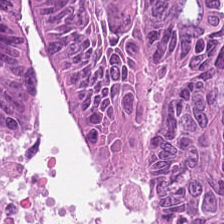H&E. Showing colorectal adenocarcinoma epithelium.
